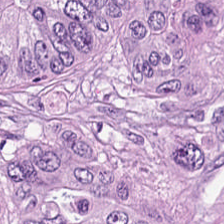Brightfield microscopy. 224×224 pixel tile. Hematoxylin-and-eosin stained section.
The predominant tissue is tumor epithelium.
